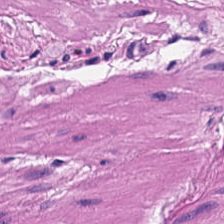Stain: hematoxylin and eosin.
Tissue type: smooth muscle.
